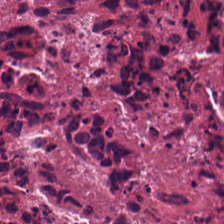Tissue type = cellular debris.
